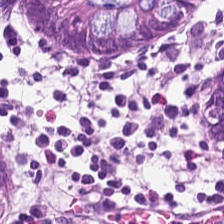{"tissue_type": "normal colonic mucosa"}
